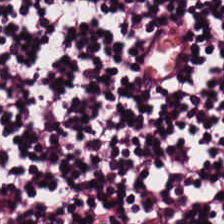224×224 px tile. H&E. The tissue class is lymphocytic infiltrate.
